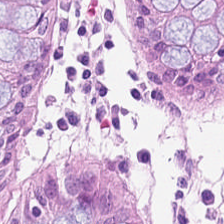Hematoxylin-and-eosin stained section. Formalin-fixed paraffin-embedded section. 20× equivalent magnification.
This patch shows normal colon mucosa.
